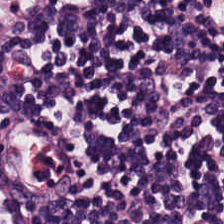H&E — Finding — lymphocytes.
